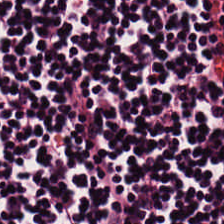Q: What tissue is shown?
A: This is lymphocytes.
